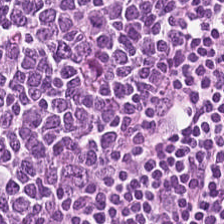H&E-stained tissue section. This patch shows lymphocytes.
